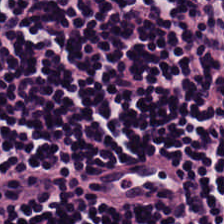Stain: hematoxylin-and-eosin stained section.
Tissue class: lymphoid infiltrate.
